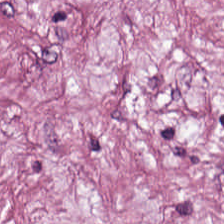Q: What tissue type is shown here?
A: Cancer-associated stroma.
